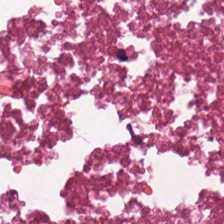Stain: H&E stain.
Preparation: FFPE tissue section.
Tissue class: debris.
